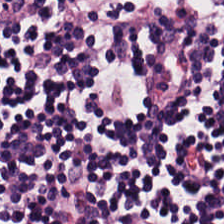Stain: hematoxylin-and-eosin stained section.
Tissue class: lymphocyte aggregate.
